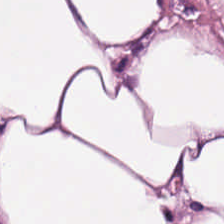Hematoxylin and eosin. Q: What type of tissue is this?
A: The field shows fat tissue.
